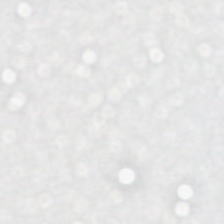Brightfield microscopy · hematoxylin and eosin.
{"content": "empty background"}
